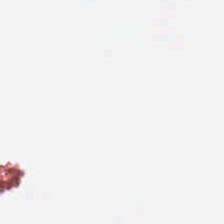Hematoxylin-and-eosin stained section — This field is background (no tissue).
